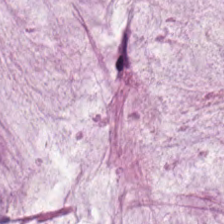Q: Identify the tissue.
A: It is extracellular mucin.
